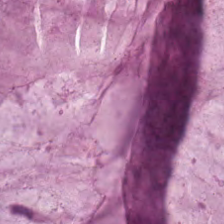H&E stain.
Q: Identify the tissue.
A: Extracellular mucin.
